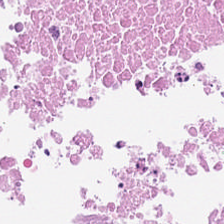H&E · WSI patch · formalin-fixed paraffin-embedded section. Q: What tissue is shown?
A: It is debris.
